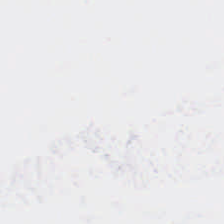H&E-stained tissue section.
The classification is background.
